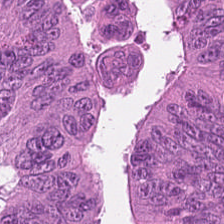Hematoxylin and eosin. This patch shows tumor epithelium.
